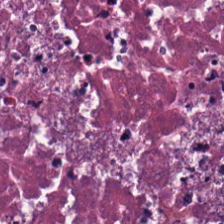Q: Identify the tissue.
A: This is debris.
